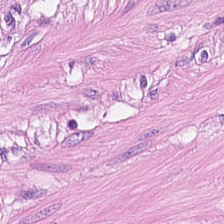H&E-stained section; the field shows smooth muscle.
